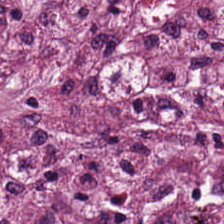H&E stain — Q: What is the predominant tissue type?
A: It is tumor stroma.
